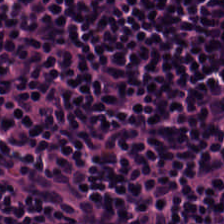H&E-stained tissue section; FFPE; whole-slide-image patch — This field is lymphocytes.
